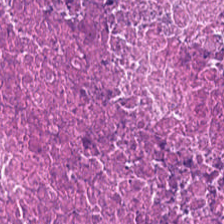Hematoxylin-and-eosin stained section — Q: What is shown here?
A: It is necrotic debris.
